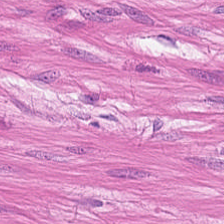Predominantly muscularis.
